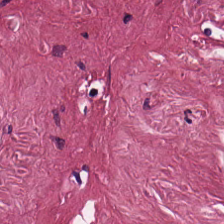WSI patch; 20× equivalent magnification; H&E — {"tissue_type": "desmoplastic stroma"}
